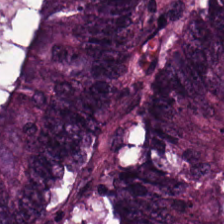Hematoxylin-and-eosin stained section. 224×224 px patch — Classification: tumor epithelium.
